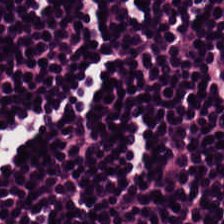Stain: hematoxylin-and-eosin stained section.
Tissue: lymphocytic infiltrate.
